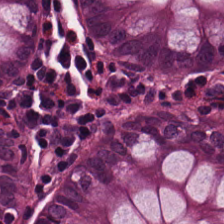Stain: hematoxylin and eosin.
Tissue class: non-neoplastic colon mucosa.
